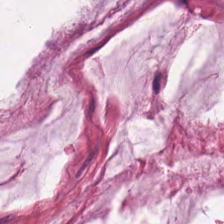This patch shows mucin.
